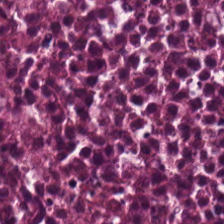H&E; 224×224 px patch; whole-slide-image patch — Predominant tissue — necrotic debris.
